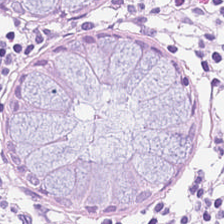Stain: H&E stain.
Tissue: benign colonic mucosa.
